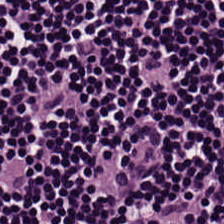Hematoxylin-and-eosin stained section — Tissue class = lymphocytic infiltrate.
